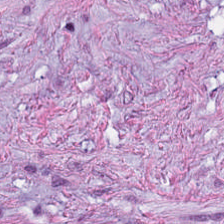H&E-stained tissue section; brightfield microscopy; 0.5 microns per pixel. The classification is tumor-associated stroma.
